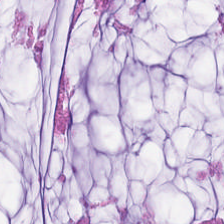H&E stain — Histology → mucus.
